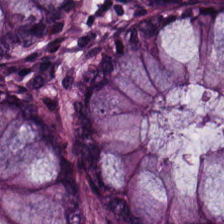Tissue type = non-neoplastic colon mucosa.
